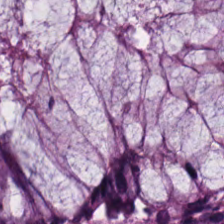H&E-stained section; the field shows non-neoplastic colon mucosa.
